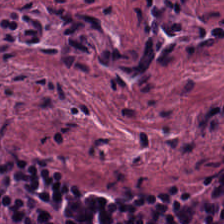Q: What type of tissue is this?
A: Lymphoid infiltrate.
